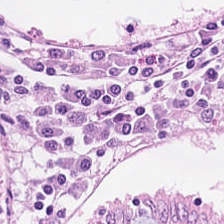H&E — Q: Classify this patch.
A: It is normal colon mucosa.
